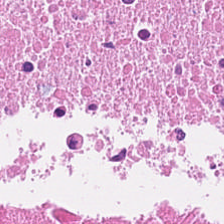Hematoxylin-and-eosin stained section. Histology — cellular debris.
